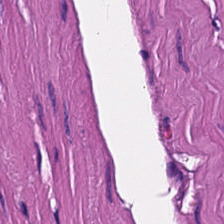H&E.
{"tissue_type": "smooth muscle"}
